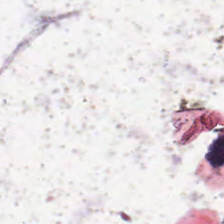No tissue present; background only.
